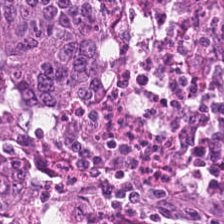Hematoxylin-and-eosin stained section.
The predominant tissue is tumor epithelium.
